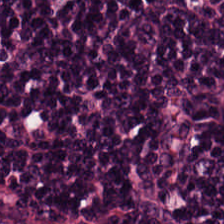Brightfield microscopy; H&E. The tissue here is lymphocyte aggregate.
